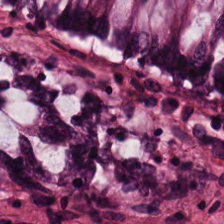H&E.
Showing non-neoplastic colon mucosa.
